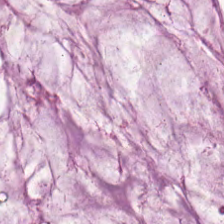Stain: hematoxylin-and-eosin stained section.
Acquisition: whole-slide-image patch.
Predominant tissue: mucin.
